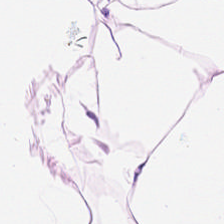H&E stain. This field is adipose tissue.
